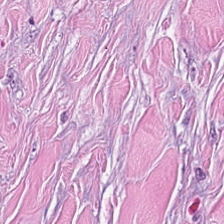Predominantly cancer-associated stroma.
